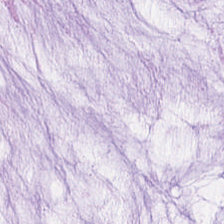224×224 px tile; H&E stain.
Showing extracellular mucin.
